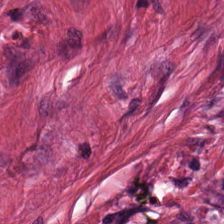H&E-stained tissue section; 224×224 pixel tile — The classification is tumor-associated stroma.
